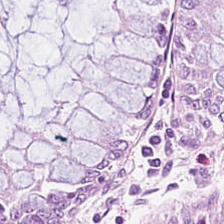H&E-stained tissue section — Impression — normal colon mucosa.
